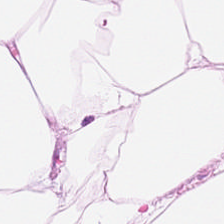H&E — {"tissue_type": "fat tissue"}
